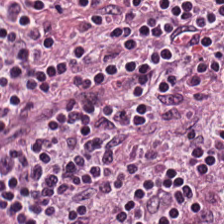Hematoxylin and eosin.
Showing lymphoid infiltrate.
